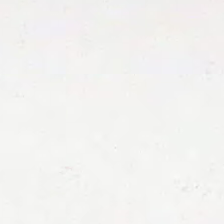H&E.
Field content = no tissue.
